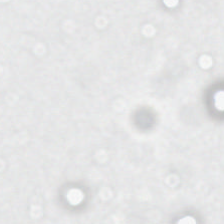Whole-slide-image patch. Hematoxylin and eosin — Content = no tissue.
